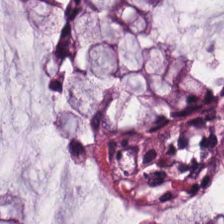Finding → normal colon mucosa.
